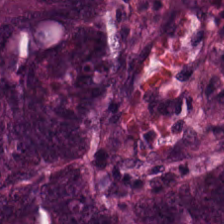Hematoxylin and eosin · FFPE.
Q: What is the predominant tissue type?
A: This is colorectal adenocarcinoma.
